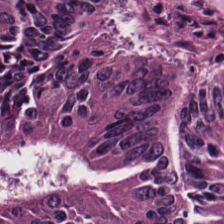Finding → malignant epithelium.
